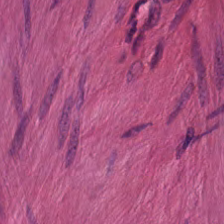H&E stain. Tissue — smooth-muscle tissue.
